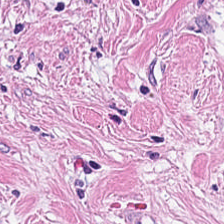Stain: hematoxylin-and-eosin stained section.
Classification: tumor-associated stroma.
